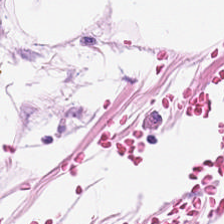H&E-stained tissue section; whole-slide-image patch — Q: Identify the tissue.
A: Adipose.
